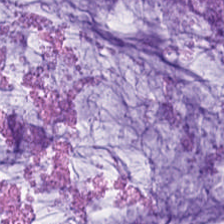H&E-stained section; the field shows mucus.
